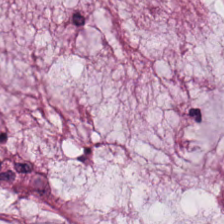H&E patch showing mucus.
